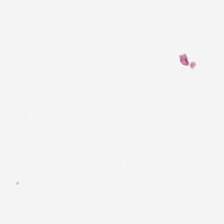224×224 px tile · hematoxylin-and-eosin stained section.
Field content: background.
